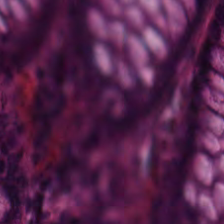Hematoxylin and eosin — This patch shows normal colon mucosa.
